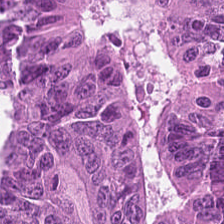Stain: H&E stain.
Acquisition: WSI patch.
Preparation: formalin-fixed paraffin-embedded section.
Predominant tissue: tumor epithelium.
